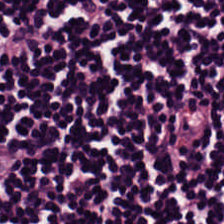H&E-stained tissue section — Q: What type of tissue is this?
A: Lymphocytic infiltrate.
